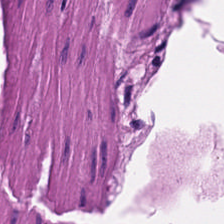H&E stain. Classification = smooth muscle.
